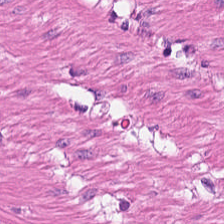0.5 microns per pixel; H&E stain.
Q: What does this patch show?
A: Smooth-muscle tissue.
